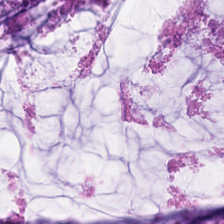H&E stain. Predominant tissue — mucin.
